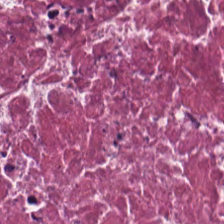Hematoxylin and eosin — Q: What type of tissue is this?
A: It is necrotic debris.
